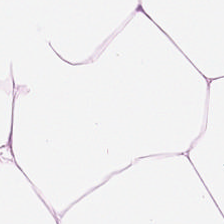The classification is adipocytes.
